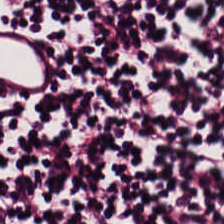Stain: hematoxylin-and-eosin stained section.
Resolution: 20× equivalent magnification.
Tissue class: lymphoid infiltrate.
